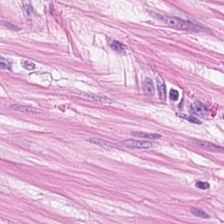Stain: hematoxylin and eosin.
Resolution: 0.5 µm per pixel.
Tile size: 224×224 pixel tile.
Tissue: smooth muscle.
